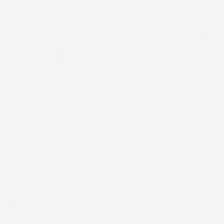Formalin-fixed paraffin-embedded section · whole-slide-image patch · hematoxylin-and-eosin stained section. Q: Classify this patch.
A: This is background.
